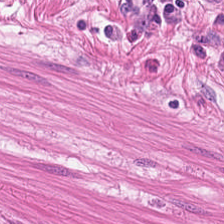H&E stain. WSI patch. Predominantly muscularis.
